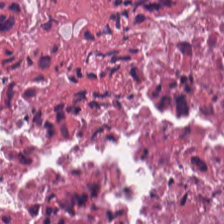Showing cellular debris.
